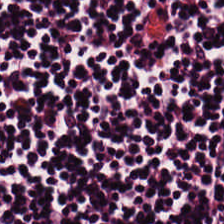224×224 px tile · 0.5 µm/px · hematoxylin and eosin. Q: What is the predominant tissue type?
A: The field shows lymphoid infiltrate.
